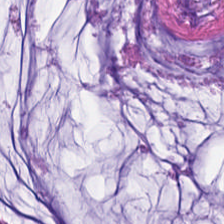Hematoxylin-and-eosin stained section. Tissue class — extracellular mucin.
